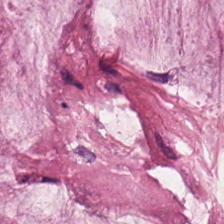Q: What tissue is shown?
A: Mucus.
